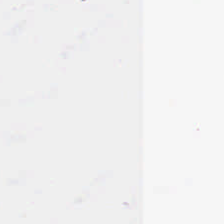H&E-stained tissue section · 224×224 px patch · 0.5 microns per pixel. Q: What does this patch show?
A: It is background (no tissue).
